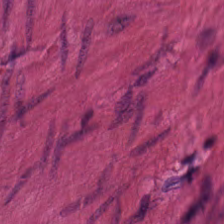Formalin-fixed paraffin-embedded section; 0.5 µm/px; hematoxylin-and-eosin stained section. Finding — smooth muscle.
